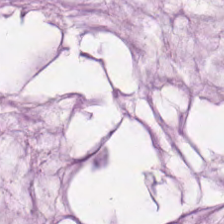Impression → mucin.
